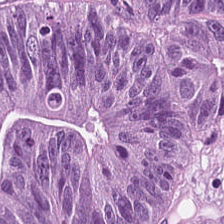Hematoxylin-and-eosin stained section. Predominantly malignant epithelium.
